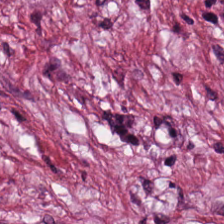224×224 pixel tile. Hematoxylin-and-eosin stained section. 20× equivalent magnification.
Q: What tissue is shown?
A: This is desmoplastic stroma.
